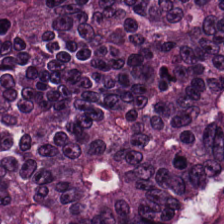Stain: hematoxylin and eosin.
Tissue class: colorectal adenocarcinoma epithelium.
